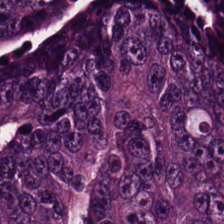Tissue = colorectal adenocarcinoma epithelium.
